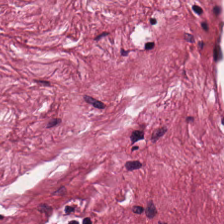H&E · 0.5 µm per pixel — The predominant tissue is desmoplastic stroma.
